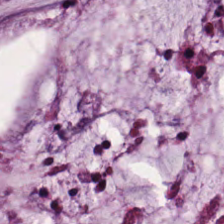Hematoxylin and eosin — This field is mucus.
